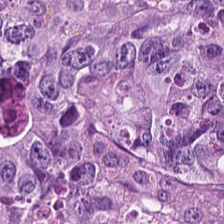224×224 pixel tile. H&E stain. FFPE. Q: Classify this patch.
A: Colorectal adenocarcinoma.
